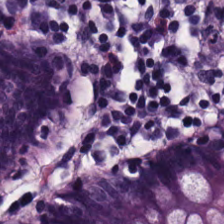Hematoxylin and eosin. This field is benign colonic mucosa.
